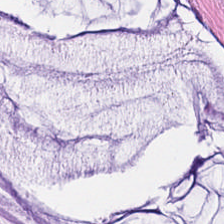Mucin.
